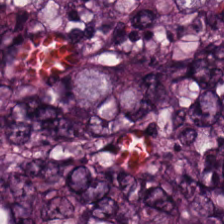H&E. Showing tumor epithelium.
